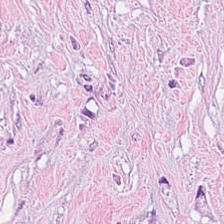H&E-stained section; the field shows desmoplastic stroma.
